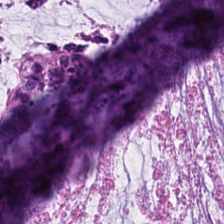0.5 µm per pixel. H&E. FFPE tissue section — The classification is extracellular mucin.
